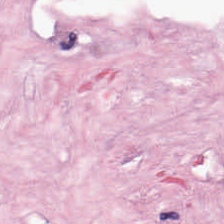Stain: hematoxylin-and-eosin stained section.
Tissue: tumor stroma.
